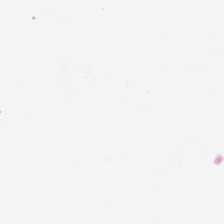H&E stain — Q: What is shown here?
A: Background.
